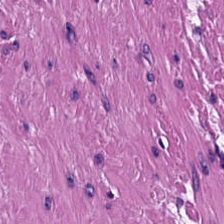224×224 px tile. 0.5 µm per pixel. Hematoxylin and eosin — The predominant tissue is smooth-muscle tissue.
